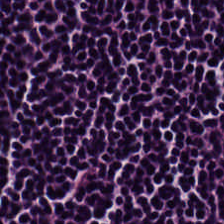The tissue here is lymphocyte aggregate.
